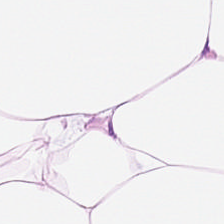Classification = adipose tissue.
